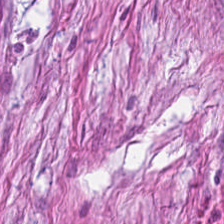Hematoxylin and eosin. {"tissue_type": "tumor-associated stroma"}
